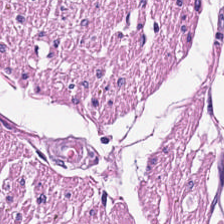H&E-stained tissue section; WSI patch; 0.5 microns per pixel. Impression — smooth muscle.
